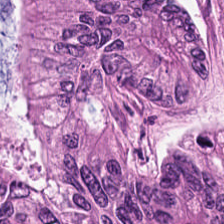Finding — tumor epithelium.
